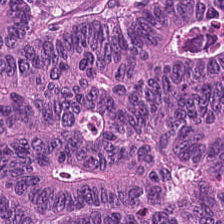Stain: H&E stain.
Classification: malignant epithelium.
